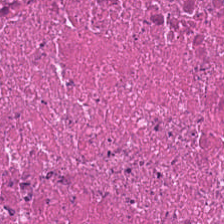Showing necrotic debris.
